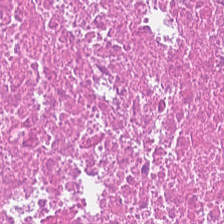H&E.
Predominantly debris.
